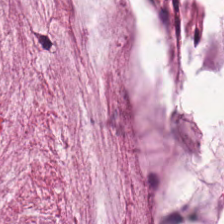224×224 pixel tile · whole-slide-image patch · H&E stain. Mucus.
